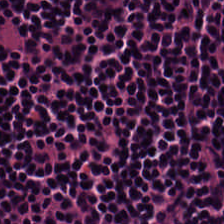Predominant tissue: lymphoid infiltrate.
